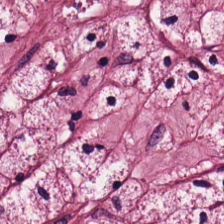FFPE · hematoxylin-and-eosin stained section. This patch shows tumor stroma.
